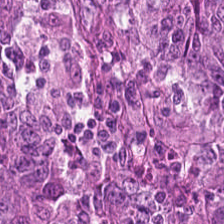H&E stain; whole-slide-image patch — Q: Classify this patch.
A: Malignant epithelium.
